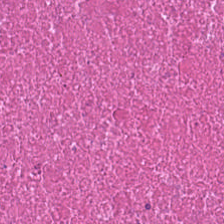224×224 px tile · 0.5 µm/px · hematoxylin-and-eosin stained section.
Impression — debris.
